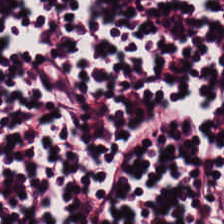Predominant tissue = lymphocyte aggregate.
